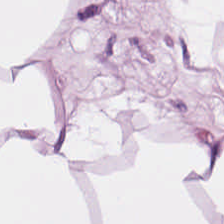H&E stain. {"tissue_type": "adipose"}
